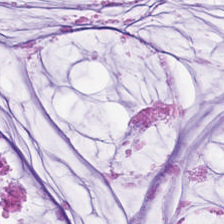H&E-stained tissue section. FFPE.
Tissue type: mucin.
